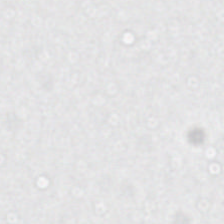20× equivalent magnification · H&E · whole-slide-image patch — Field content — no tissue.
